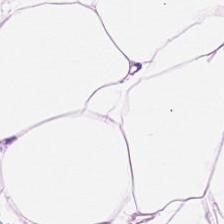H&E. 224×224 pixel tile. Formalin-fixed paraffin-embedded section.
The tissue type is adipose.
